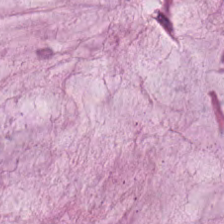H&E-stained tissue section. This field is mucin.
